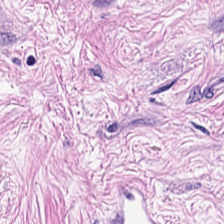H&E-stained tissue section; 224×224 px patch.
Histology — tumor-associated stroma.
